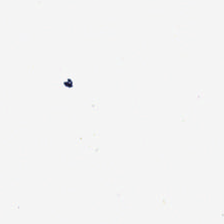Whole-slide-image patch; hematoxylin-and-eosin stained section. No tissue.
